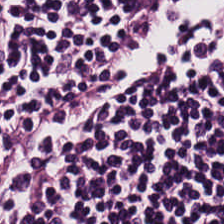0.5 µm per pixel; 224×224 px tile; H&E. The predominant tissue is lymphoid infiltrate.
